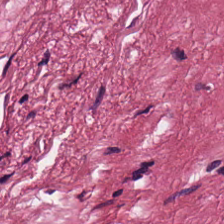The tissue here is tumor stroma.
